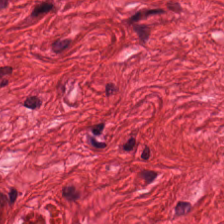H&E — This field is smooth-muscle tissue.
